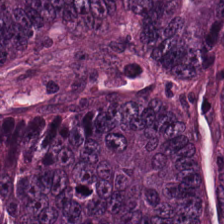H&E. This field is adenocarcinoma.
